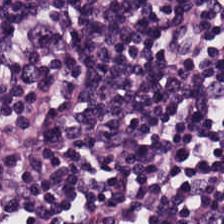H&E — Tissue type = lymphocytic infiltrate.
